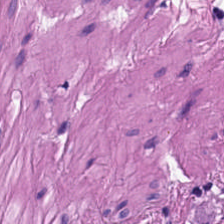H&E stain; brightfield microscopy; FFPE tissue section — Predominant tissue — smooth muscle.
